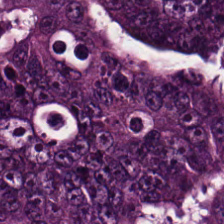Hematoxylin-and-eosin stained section.
The predominant tissue is colorectal adenocarcinoma.
